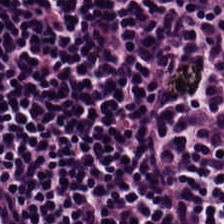H&E · 0.5 microns per pixel — This patch shows lymphocytes.
